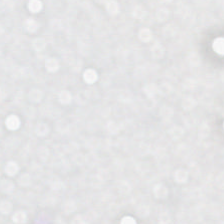H&E-stained tissue section · 20× equivalent magnification · whole-slide-image patch.
No tissue present; background only.
